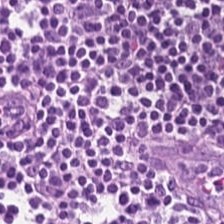Histology → lymphocytic infiltrate.
